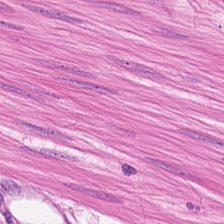Muscularis.
